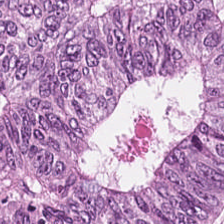Hematoxylin-and-eosin stained section — Tissue class: malignant epithelium.
